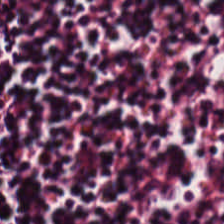H&E — Tissue class = lymphocytes.
